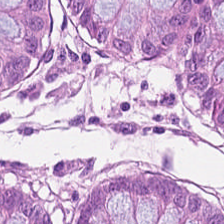Hematoxylin and eosin.
Tissue type: benign colonic mucosa.
